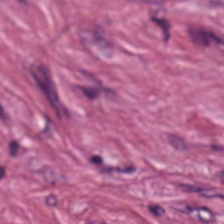H&E — tumor stroma.
